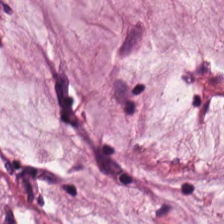H&E-stained tissue section. Mucus.
